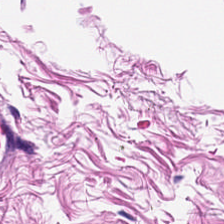WSI patch · hematoxylin and eosin · formalin-fixed paraffin-embedded section — The tissue class is smooth-muscle tissue.
